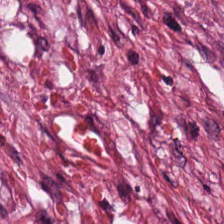Whole-slide-image patch · H&E stain · 0.5 microns per pixel.
Tissue class = cancer-associated stroma.
